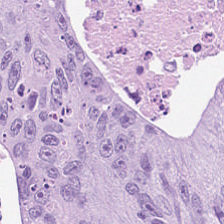Hematoxylin-and-eosin stained section · 224×224 pixel tile.
Tissue class = colorectal adenocarcinoma.
